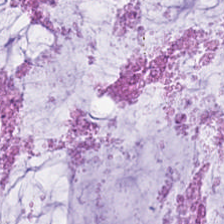H&E stain — Q: Classify this patch.
A: Mucin.
